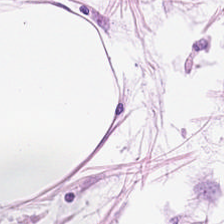224×224 px patch; hematoxylin-and-eosin stained section — Finding — adipose.
